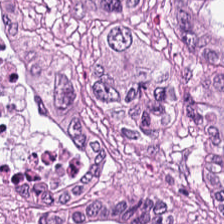224×224 px patch. H&E. 20× equivalent magnification.
The predominant tissue is colorectal adenocarcinoma epithelium.
